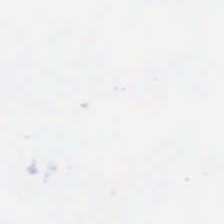H&E stain; brightfield microscopy. Field content = background.
